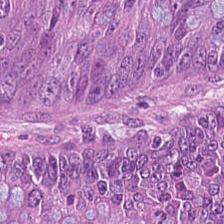Stain: hematoxylin-and-eosin stained section.
Preparation: formalin-fixed paraffin-embedded section.
Predominant tissue: malignant epithelium.
